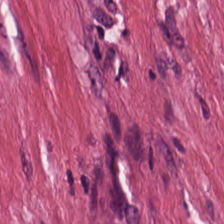H&E patch showing tumor stroma.
